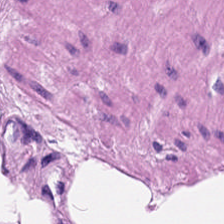H&E; 0.5 µm/px; whole-slide-image patch — Predominantly smooth muscle.
